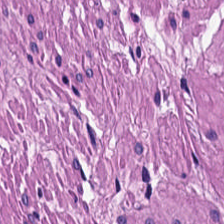224×224 pixel tile · H&E-stained tissue section — Tissue type — smooth-muscle tissue.
